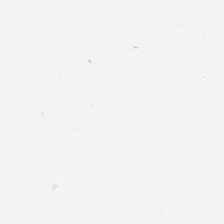Q: Classify this patch.
A: The field shows empty background.
